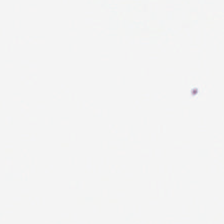Stain: hematoxylin-and-eosin stained section.
Acquisition: WSI patch.
Preparation: formalin-fixed paraffin-embedded section.
Field content: no tissue.
